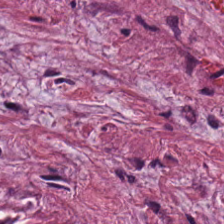H&E-stained tissue section. 224×224 px tile.
Predominantly tumor-associated stroma.
